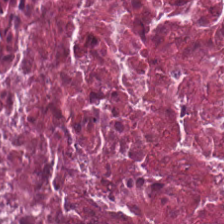This patch shows cellular debris.
